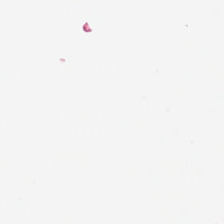H&E. Finding → background.
